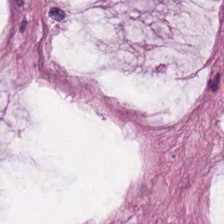H&E-stained tissue section. 20× equivalent magnification. Mucus.
